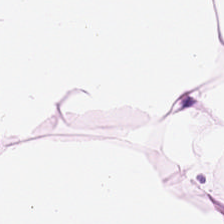Hematoxylin and eosin. Tissue = adipose.
